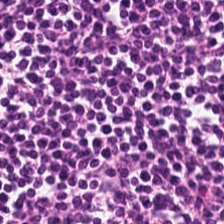Predominantly lymphoid infiltrate.
